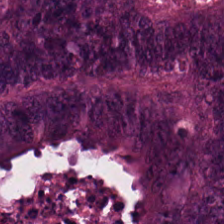Hematoxylin-and-eosin stained section — Predominantly malignant epithelium.
